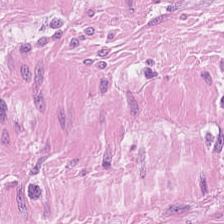Tissue type — smooth muscle.
